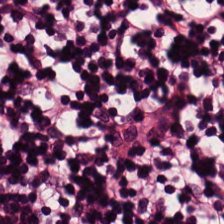Hematoxylin and eosin. 0.5 µm per pixel.
Tissue type — lymphocyte aggregate.
